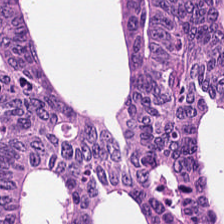H&E stain.
The predominant tissue is adenocarcinoma.
